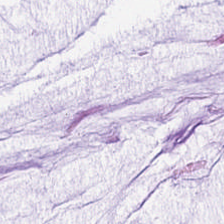Hematoxylin-and-eosin stained section — Mucin.
